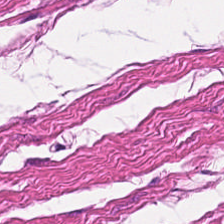Predominantly smooth-muscle tissue.
